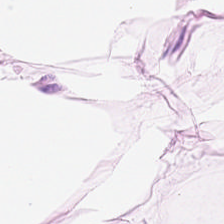Stain: H&E.
Tissue: adipose.
